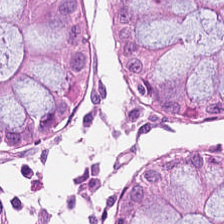Stain: H&E.
Resolution: 0.5 µm per pixel.
Tissue type: non-neoplastic colon mucosa.
